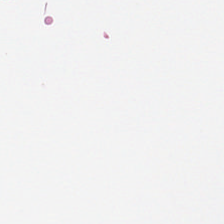Stain: H&E stain.
Acquisition: WSI patch.
Content: no tissue.
